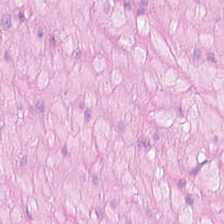Hematoxylin-and-eosin stained section. Predominant tissue — smooth-muscle tissue.
